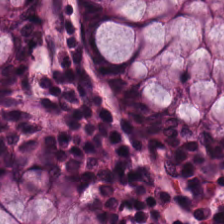H&E-stained tissue section. Predominant tissue: normal colonic mucosa.
